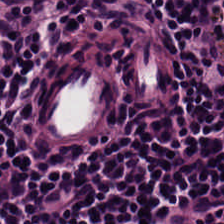The tissue class is lymphocytes.
